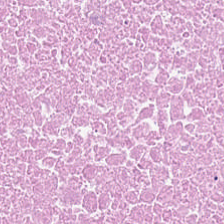Hematoxylin-and-eosin stained section. 0.5 µm/px.
The tissue here is debris.
